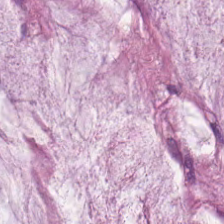Whole-slide-image patch; H&E. Classification — mucin.
